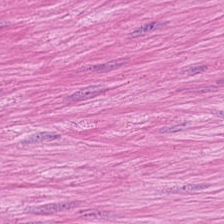Q: What type of tissue is this?
A: It is smooth-muscle tissue.
